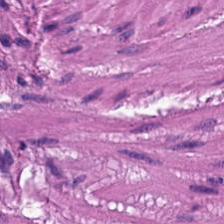This patch shows smooth-muscle tissue.
